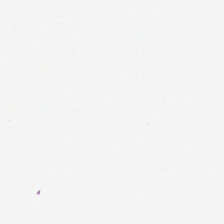Background — no tissue in this field.
